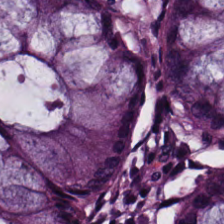Q: Identify the tissue.
A: This is normal colon mucosa.
